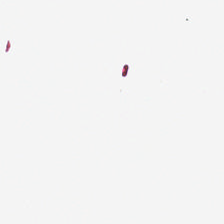H&E.
Background — no tissue in this field.
